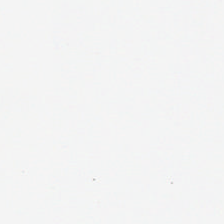The field content is background.
